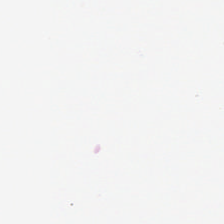Field content: background.
